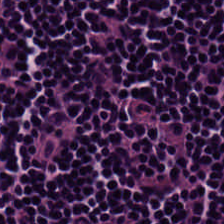Hematoxylin-and-eosin stained section — The predominant tissue is lymphocyte aggregate.
